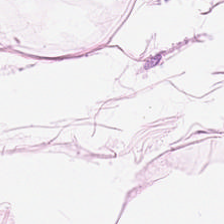Hematoxylin and eosin.
Tissue type — adipose.
